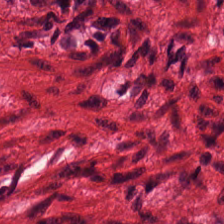FFPE. H&E stain — Tissue type: smooth muscle.
